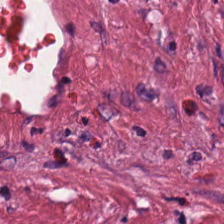Hematoxylin-and-eosin stained section. Q: What does this patch show?
A: The field shows desmoplastic stroma.
